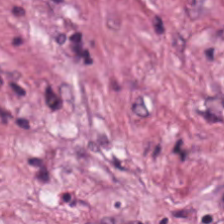Whole-slide-image patch · 0.5 µm/px · H&E stain. Q: What tissue is shown?
A: This is tumor stroma.
